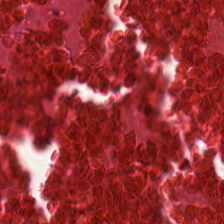0.5 microns per pixel · H&E-stained tissue section.
The tissue here is debris.
